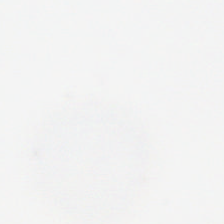224×224 px tile · hematoxylin-and-eosin stained section · 20× equivalent magnification. Content = background.
